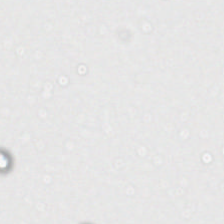Empty field — no tissue.
